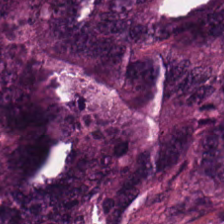20× equivalent magnification. H&E stain. Predominantly malignant epithelium.
